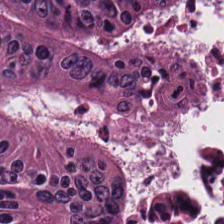H&E — This field is tumor epithelium.
